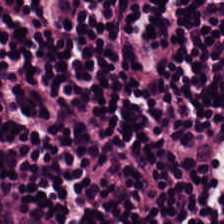Hematoxylin-and-eosin section: lymphocyte aggregate.
